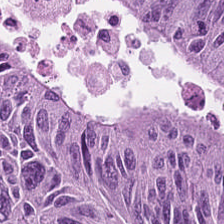H&E-stained tissue section · 224×224 px tile. Showing tumor epithelium.
